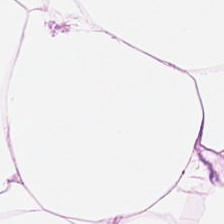Hematoxylin and eosin; 20× equivalent magnification; FFPE. This patch shows adipocytes.
